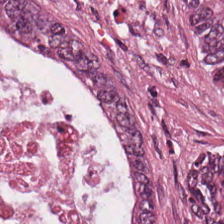Predominantly malignant epithelium.
